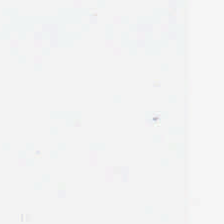0.5 µm/px. H&E-stained tissue section.
This field is background (no tissue).
